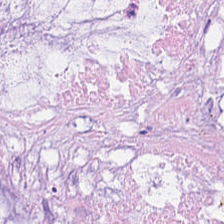Q: What does this patch show?
A: The field shows extracellular mucin.
